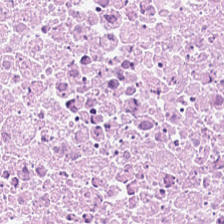FFPE tissue section; hematoxylin and eosin; 20× equivalent magnification. Q: Identify the tissue.
A: Necrotic debris.
